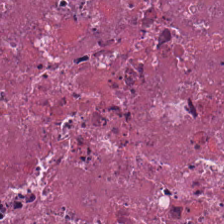Stain: H&E.
Classification: necrotic debris.
